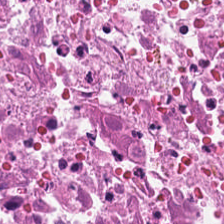H&E — necrotic debris.
